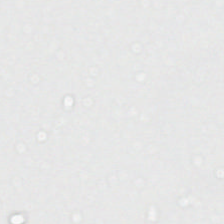The classification is no tissue.
